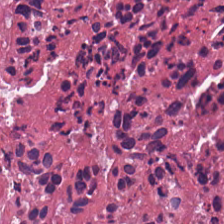224×224 px patch · H&E-stained tissue section.
Showing cellular debris.
